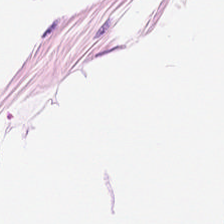H&E-stained tissue section. The predominant tissue is adipocytes.
